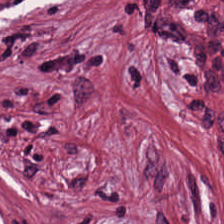Hematoxylin and eosin. This field is tumor-associated stroma.
